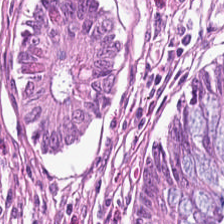H&E. 224×224 pixel tile.
Q: Classify this patch.
A: It is non-neoplastic colon mucosa.
